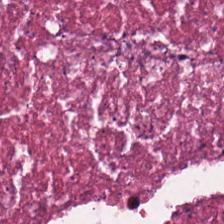H&E stain · 0.5 microns per pixel · FFPE tissue section.
Showing cellular debris.
